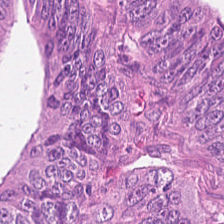H&E — This field is colorectal adenocarcinoma.
